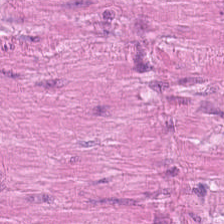Impression → smooth muscle.
